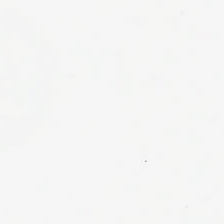0.5 µm/px · H&E-stained tissue section.
Classification — background.
